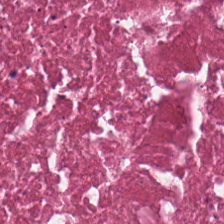Q: Identify the tissue.
A: This is necrotic debris.
